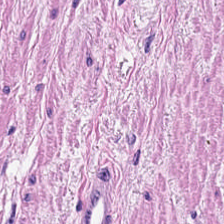Q: What is shown in this field?
A: This is smooth-muscle tissue.
